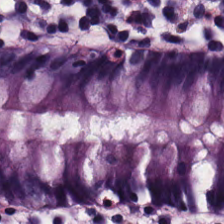Whole-slide-image patch · H&E-stained tissue section — The predominant tissue is benign colonic mucosa.
